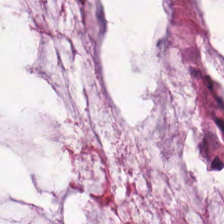H&E stain.
Tissue class = mucus.
